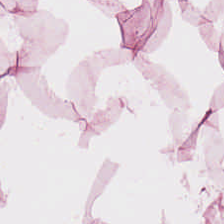Hematoxylin-and-eosin stained section.
This patch shows adipose tissue.
